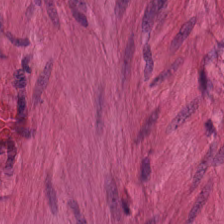Hematoxylin-and-eosin stained section; FFPE; 20× equivalent magnification — Predominantly smooth muscle.
